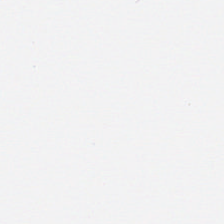Q: What is shown here?
A: Background (no tissue).
